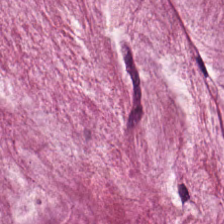H&E · WSI patch. This field is mucus.
